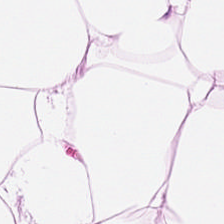20× equivalent magnification · hematoxylin and eosin · formalin-fixed paraffin-embedded section.
Q: What is the predominant tissue type?
A: The field shows adipocytes.
